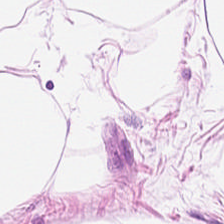Q: What type of tissue is this?
A: This is fat tissue.
